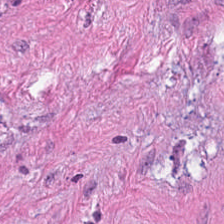Hematoxylin-and-eosin stained section — Q: What is shown in this field?
A: This is tumor stroma.
